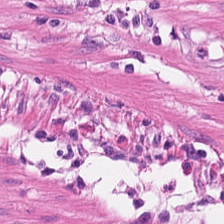224×224 px tile; H&E stain; brightfield microscopy.
Tissue class: muscularis.
